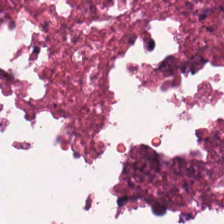Histology — necrotic debris.
